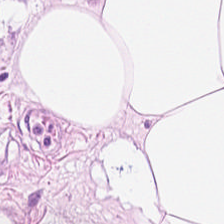H&E.
The predominant tissue is adipocytes.
